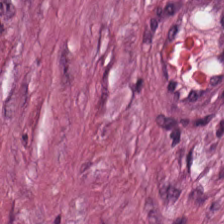224×224 px patch; H&E stain. The predominant tissue is tumor-associated stroma.
